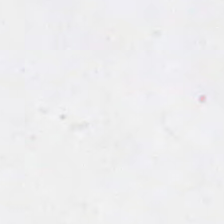Hematoxylin and eosin — The field content is empty background.
